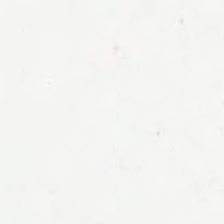Hematoxylin-and-eosin stained section — Background (no tissue).
